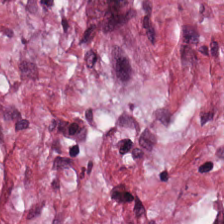H&E — Q: What is shown in this field?
A: It is tumor-associated stroma.
